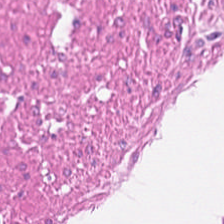H&E patch showing muscularis.
